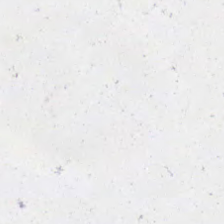FFPE. H&E-stained tissue section.
This field is background (no tissue).
